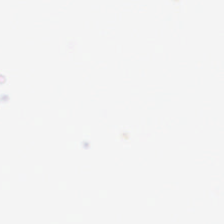{"content": "empty background"}
